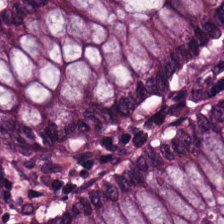H&E stain. Tissue class: normal colon mucosa.
